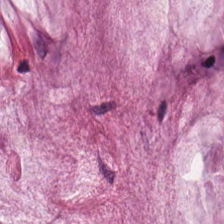Histology → mucin.
